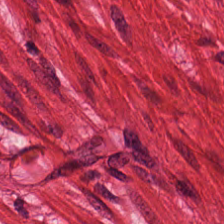H&E stain.
Tissue type = smooth-muscle tissue.
